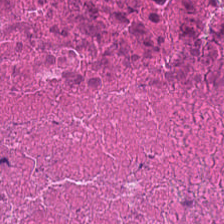Hematoxylin and eosin.
The tissue here is debris.
